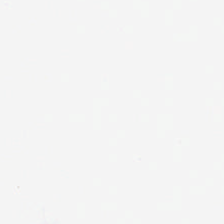20× equivalent magnification; H&E — Finding — empty background.
